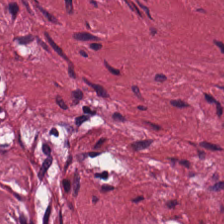Stain: H&E stain.
Acquisition: brightfield.
Classification: cancer-associated stroma.
